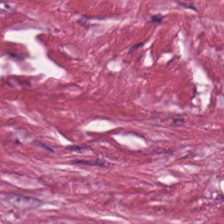224×224 px patch. 0.5 microns per pixel. Hematoxylin-and-eosin stained section. This patch shows cancer-associated stroma.
